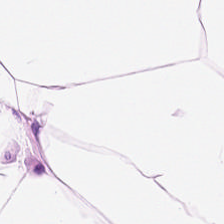H&E-stained tissue section showing adipocytes.
